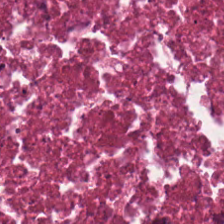Stain: H&E-stained tissue section.
Tissue type: cellular debris.
